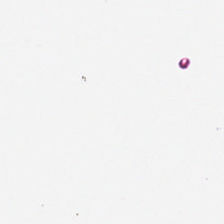20× equivalent magnification. Hematoxylin-and-eosin stained section. This patch shows empty background.
